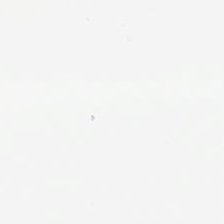H&E — Q: Classify this patch.
A: The field shows empty background.
